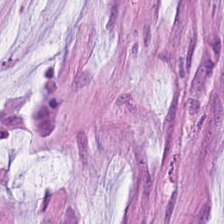H&E-stained tissue section. Finding — mucus.
